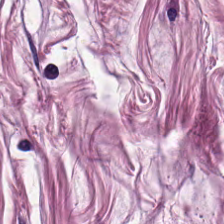H&E-stained section; the field shows smooth-muscle tissue.
